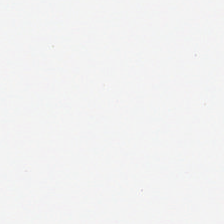FFPE · H&E stain.
Background — no tissue in this field.
